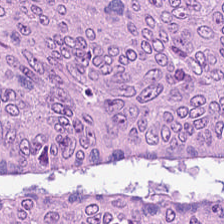Stain: H&E-stained tissue section.
Tissue: tumor epithelium.
